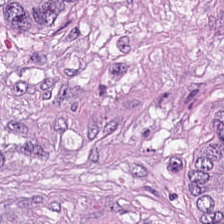FFPE tissue section. Hematoxylin-and-eosin stained section.
Q: What is the predominant tissue type?
A: It is adenocarcinoma.
